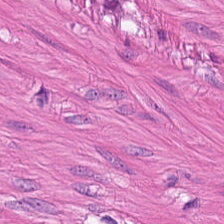H&E stain — {"tissue_type": "smooth-muscle tissue"}
